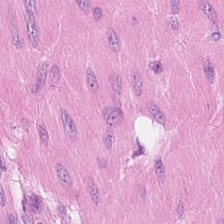Predominantly smooth muscle.
